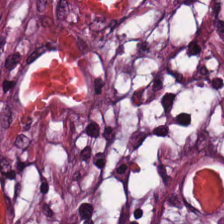H&E. {"tissue_type": "tumor stroma"}
